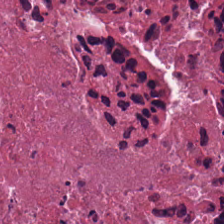Hematoxylin-and-eosin stained section; 0.5 µm/px. Q: What is shown here?
A: Debris.
